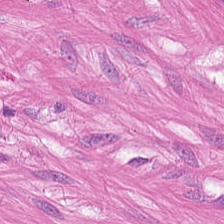0.5 µm/px; H&E-stained tissue section — Predominantly muscularis.
